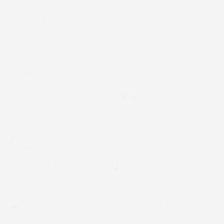{"content": "empty background"}
